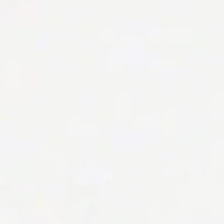H&E stain · 224×224 px tile. The field content is no tissue.
